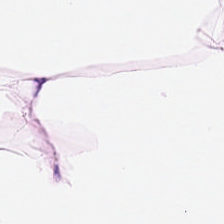H&E. 224×224 pixel tile. Predominantly adipose.
